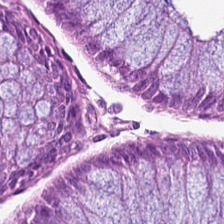{"tissue_type": "normal colon mucosa"}
